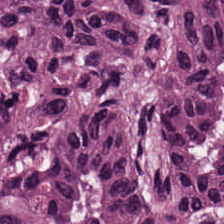H&E-stained tissue section.
Q: What is the predominant tissue type?
A: It is colorectal adenocarcinoma.
